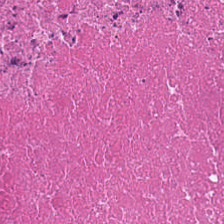Predominant tissue = debris.
